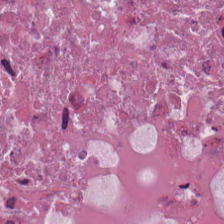224×224 px tile · hematoxylin and eosin · FFPE tissue section. Q: What is the predominant tissue type?
A: Debris.
